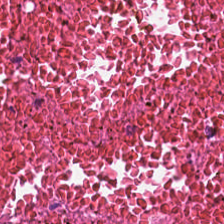H&E stain; 0.5 µm/px — Predominant tissue — necrotic debris.
